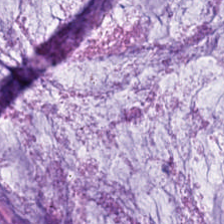The predominant tissue is mucin.
